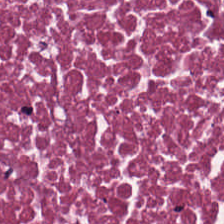This field is necrotic debris.
